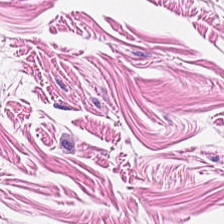This field is smooth-muscle tissue.
